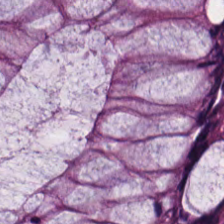H&E — Classification = normal colon mucosa.
